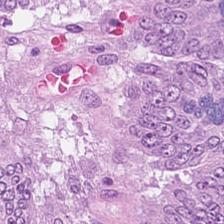0.5 microns per pixel; hematoxylin-and-eosin stained section — Q: What is shown in this field?
A: Colorectal adenocarcinoma epithelium.
